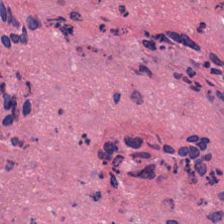H&E; whole-slide-image patch. Showing debris.
